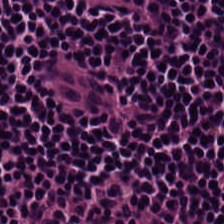Hematoxylin-and-eosin stained section. Q: What is the predominant tissue type?
A: The field shows lymphocyte aggregate.
